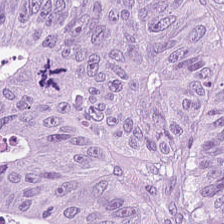WSI patch. H&E-stained tissue section. This patch shows colorectal adenocarcinoma epithelium.
